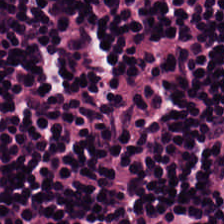H&E-stained tissue section.
Q: What is shown here?
A: Lymphocyte aggregate.
